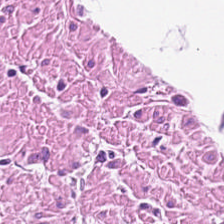H&E-stained section; the field shows smooth-muscle tissue.
